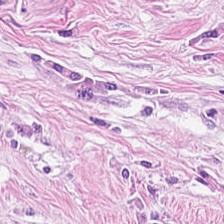H&E stain. FFPE. Classification — tumor stroma.
